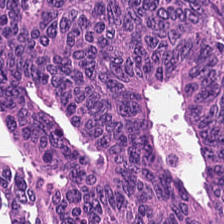Hematoxylin and eosin — The predominant tissue is colorectal adenocarcinoma epithelium.
